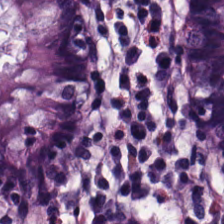H&E-stained tissue section.
The tissue here is non-neoplastic colon mucosa.
